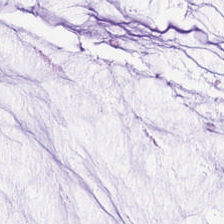H&E-stained tissue section. Impression — mucin.
